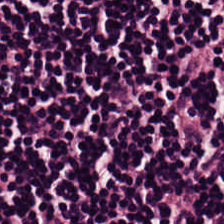H&E stain. Tissue — lymphocytic infiltrate.
